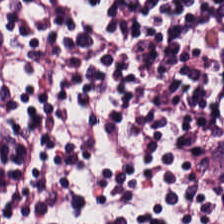H&E. Showing lymphocyte aggregate.
